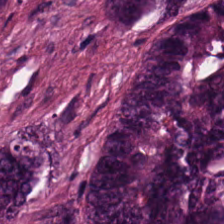Classification: adenocarcinoma.
